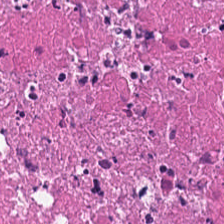0.5 µm/px; 224×224 pixel tile; H&E.
Tissue: debris.
